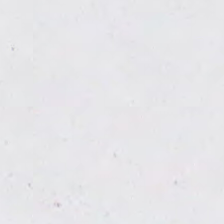Hematoxylin and eosin; 224×224 px patch; FFPE.
Q: What does this patch show?
A: This is background.
